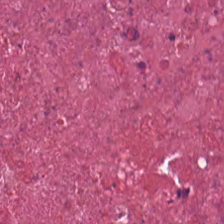Hematoxylin-and-eosin stained section.
Tissue type: necrotic debris.
